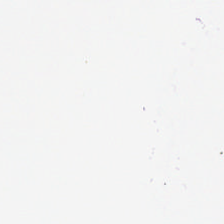H&E-stained tissue section — Q: What does this patch show?
A: It is no tissue.
